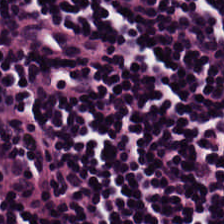H&E stain. This field is lymphoid infiltrate.
